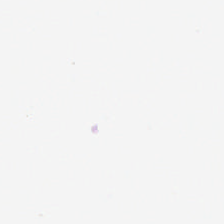Q: What does this patch show?
A: No tissue.
